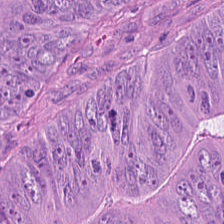224×224 pixel tile. H&E.
Predominantly tumor epithelium.
